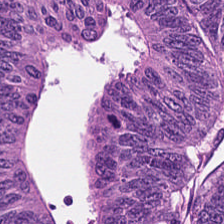H&E stain · 224×224 px patch · brightfield — Adenocarcinoma.
